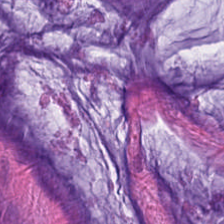Impression — mucin.
